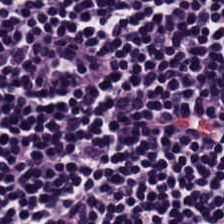Stain: H&E.
Acquisition: brightfield microscopy.
Preparation: FFPE tissue section.
Classification: lymphocytic infiltrate.
